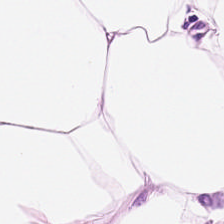Showing adipose.
